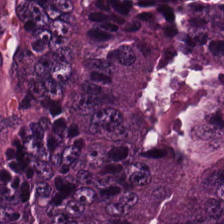Stain: H&E.
Tissue: adenocarcinoma.
